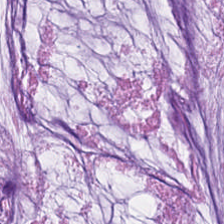H&E. Q: What tissue type is shown here?
A: It is mucin.
